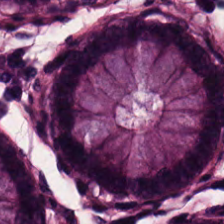H&E stain; 224×224 px patch — Histology — benign colonic mucosa.
